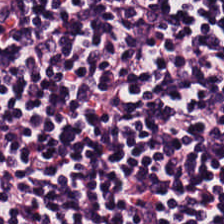Hematoxylin and eosin.
{"tissue_type": "lymphocyte aggregate"}
